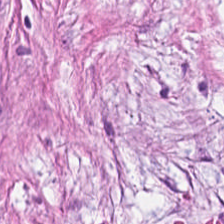H&E patch showing cancer-associated stroma.
